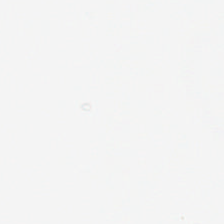H&E stain — Content = no tissue.
